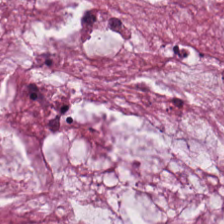224×224 px patch. Hematoxylin and eosin.
Q: Classify this patch.
A: The field shows mucin.
